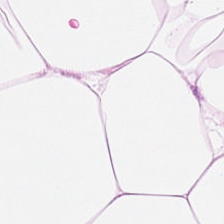Classification — fat tissue.
